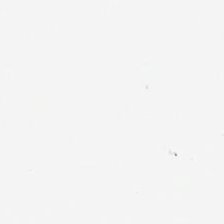0.5 microns per pixel · hematoxylin and eosin · 224×224 px patch. Background.
